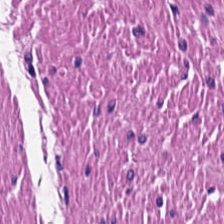H&E.
Q: What type of tissue is this?
A: Smooth muscle.
